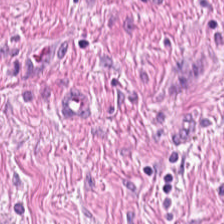Q: What is the predominant tissue type?
A: This is smooth muscle.
